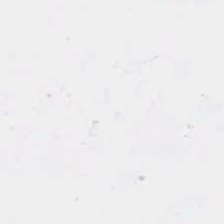H&E-stained tissue section — Classification: no tissue.
